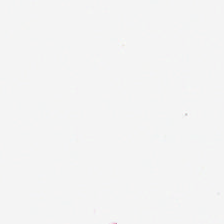H&E; 224×224 pixel tile. Classification — background (no tissue).
